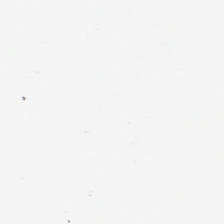Hematoxylin-and-eosin stained section; 0.5 µm/px.
Histology — background (no tissue).
